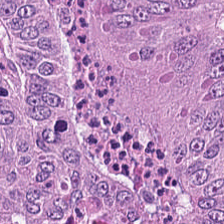H&E; 224×224 pixel tile; 0.5 µm/px. Predominantly colorectal adenocarcinoma epithelium.
